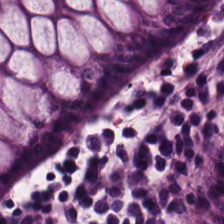H&E stain. Whole-slide-image patch — Q: Identify the tissue.
A: It is normal colon mucosa.
